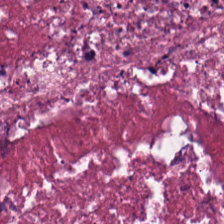H&E stain — Q: What type of tissue is this?
A: This is debris.
